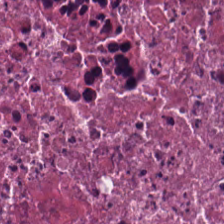Histology — cellular debris.
